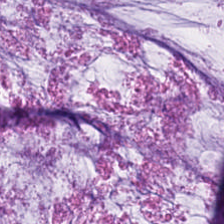H&E — The classification is mucus.
